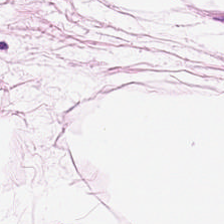H&E.
Q: What does this patch show?
A: It is adipose tissue.
